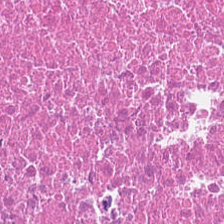Hematoxylin and eosin.
This patch shows debris.
